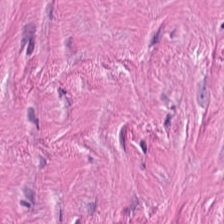224×224 px tile; H&E-stained tissue section; FFPE tissue section.
The tissue is tumor stroma.
